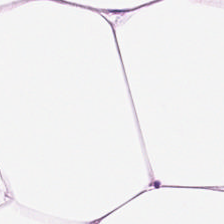Hematoxylin-and-eosin section: fat tissue.
